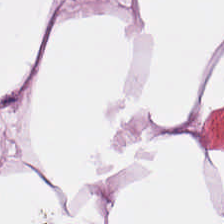Q: What is shown in this field?
A: This is adipose tissue.
